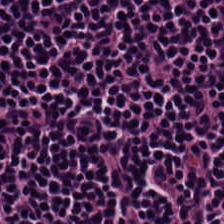Predominant tissue: lymphoid infiltrate.
